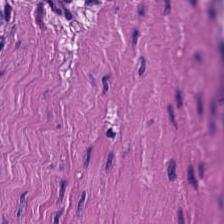Stain: hematoxylin-and-eosin stained section.
Resolution: 0.5 µm per pixel.
Preparation: FFPE.
Tissue type: smooth-muscle tissue.
